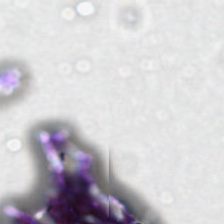Stain: H&E.
Content: background (no tissue).
